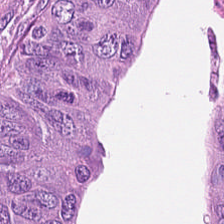Hematoxylin-and-eosin stained section; FFPE tissue section; 224×224 pixel tile. Impression → adenocarcinoma.
